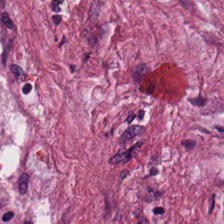Hematoxylin and eosin. Q: What is shown in this field?
A: It is desmoplastic stroma.
